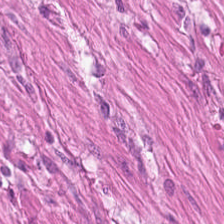Tissue class — smooth-muscle tissue.
